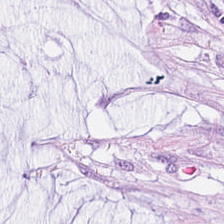H&E stain.
Classification — extracellular mucin.
